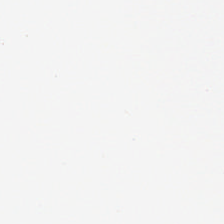H&E stain — Histology → background (no tissue).
